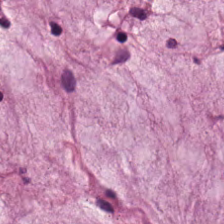H&E-stained tissue section.
This patch shows extracellular mucin.
